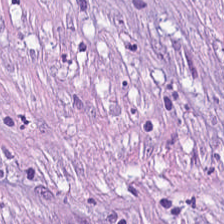The tissue here is tumor stroma.
